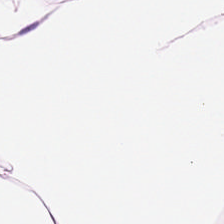H&E-stained tissue section; 0.5 µm per pixel. Predominant tissue = adipocytes.
